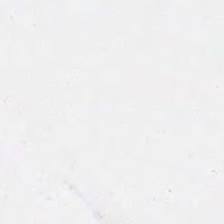H&E stain. Empty background.
